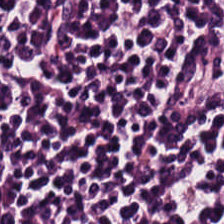0.5 microns per pixel; H&E stain; 224×224 px patch — Predominantly lymphocytes.
